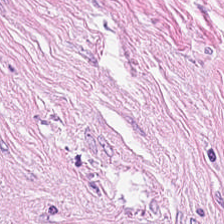Hematoxylin and eosin. Predominantly tumor stroma.
